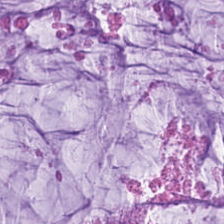224×224 px patch · H&E. Tissue: extracellular mucin.
